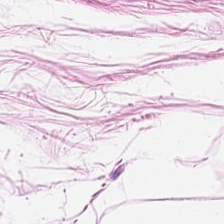Brightfield · hematoxylin-and-eosin stained section. Fat tissue.
